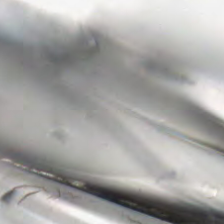WSI patch; 224×224 px patch; H&E-stained tissue section.
Empty field — empty background.
